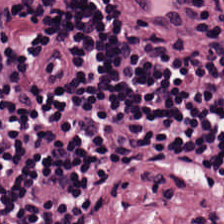H&E-stained tissue section.
The tissue is lymphoid infiltrate.
